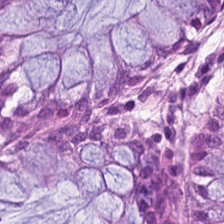Hematoxylin and eosin.
The tissue here is normal colonic mucosa.
